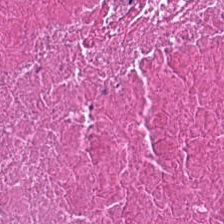Classification = debris.
